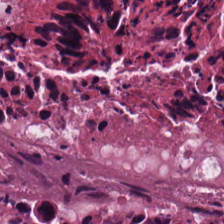Predominantly cellular debris.
